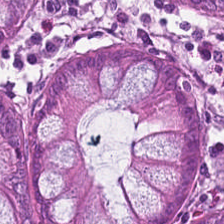Brightfield microscopy · H&E-stained tissue section. The tissue here is non-neoplastic colon mucosa.
